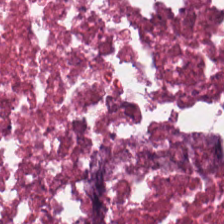H&E stain; formalin-fixed paraffin-embedded section — Tissue = debris.
